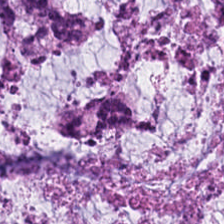Stain: H&E.
Predominant tissue: mucus.
